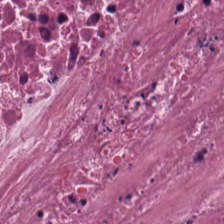0.5 µm per pixel. Hematoxylin and eosin. Brightfield — Predominantly debris.
